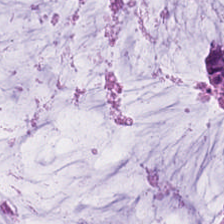Hematoxylin and eosin — This field is mucus.
